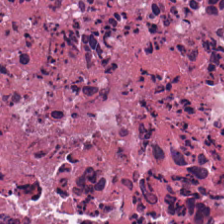FFPE tissue section. H&E — Impression → cellular debris.
